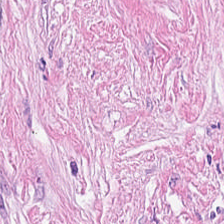Whole-slide-image patch · hematoxylin and eosin — Predominantly cancer-associated stroma.
